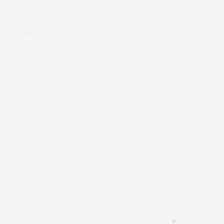Hematoxylin-and-eosin stained section. Histology — empty background.
